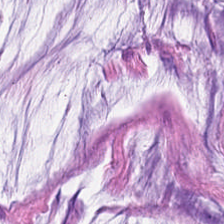Hematoxylin-and-eosin stained section. {"tissue_type": "mucin"}
